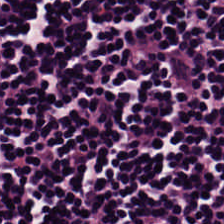Stain: H&E-stained tissue section.
Tissue type: lymphocytic infiltrate.
